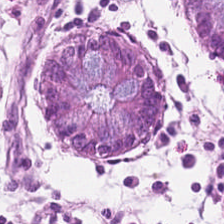20× equivalent magnification. H&E — Benign colonic mucosa.
